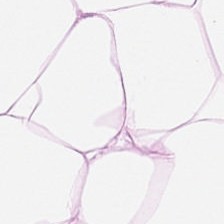Stain: hematoxylin and eosin.
Tissue class: adipocytes.
